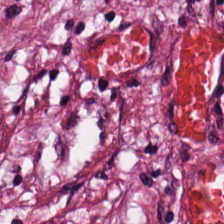The tissue here is cancer-associated stroma.
